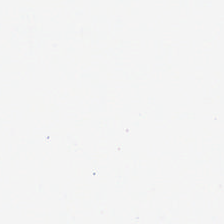Hematoxylin-and-eosin stained section.
The field content is background.
